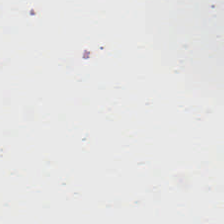Hematoxylin-and-eosin stained section.
Q: Classify this patch.
A: Background (no tissue).
